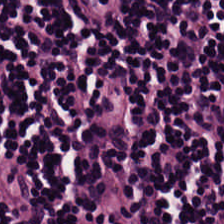Stain: hematoxylin and eosin.
Resolution: 20× equivalent magnification.
Tissue class: lymphoid infiltrate.
